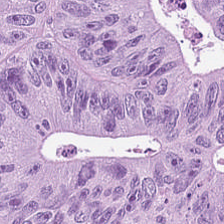224×224 px patch · hematoxylin-and-eosin stained section.
Classification — colorectal adenocarcinoma epithelium.
